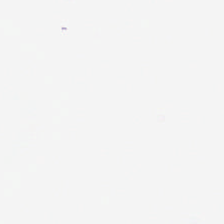Classification = empty background.
